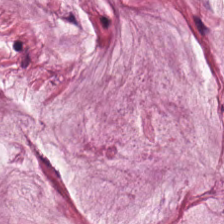H&E stain. The predominant tissue is extracellular mucin.
